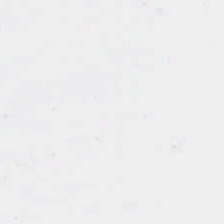224×224 px patch · H&E.
Field content: background (no tissue).
